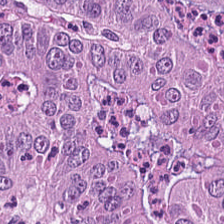Stain: hematoxylin and eosin.
Tissue: tumor epithelium.
